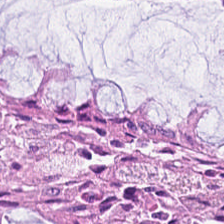20× equivalent magnification. H&E.
Histology — normal colonic mucosa.
